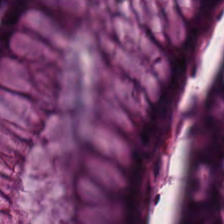Stain: H&E-stained tissue section.
Tissue: normal colonic mucosa.
